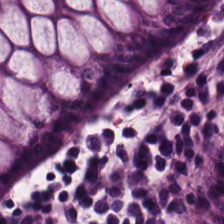H&E-stained tissue section; 20× equivalent magnification — Q: What does this patch show?
A: The field shows normal colon mucosa.
